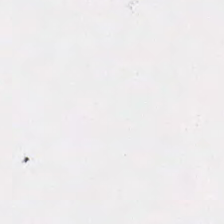H&E stain. Q: What is shown in this field?
A: The field shows background.
